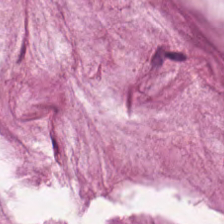Predominant tissue — mucin.
